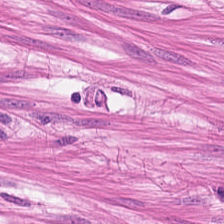Hematoxylin-and-eosin stained section. 0.5 microns per pixel. 224×224 pixel tile.
Smooth muscle.
